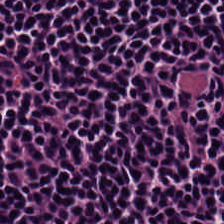Stain: hematoxylin and eosin.
Preparation: FFPE.
Tile size: 224×224 px patch.
Classification: lymphoid infiltrate.
